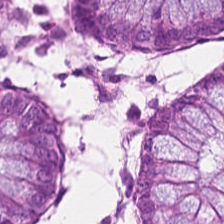Hematoxylin-and-eosin stained section.
This patch shows normal colonic mucosa.
